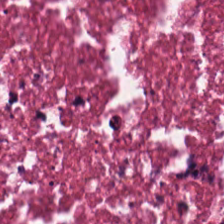Hematoxylin-and-eosin stained section. WSI patch. The tissue is necrotic debris.
